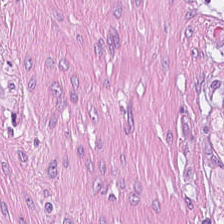H&E stain. Formalin-fixed paraffin-embedded section. Brightfield microscopy.
Tumor stroma.
